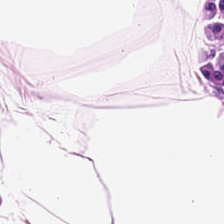Fat tissue.
